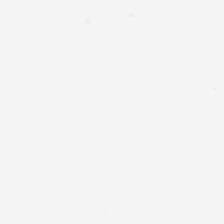0.5 microns per pixel. H&E-stained tissue section — Impression → background.
